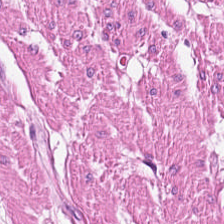H&E stain; 224×224 px patch.
Tissue — muscularis.
